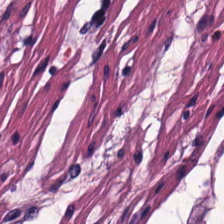224×224 px tile; hematoxylin-and-eosin stained section. This field is smooth-muscle tissue.
